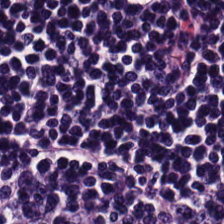Stain: hematoxylin and eosin.
Preparation: FFPE.
Classification: lymphocyte aggregate.
